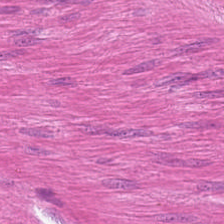This field is smooth muscle.
